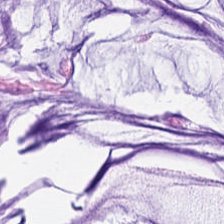0.5 microns per pixel · H&E-stained tissue section · 224×224 pixel tile. Tissue class — extracellular mucin.
